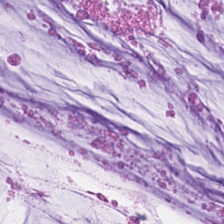Stain: H&E stain.
Resolution: 0.5 microns per pixel.
Predominant tissue: extracellular mucin.
